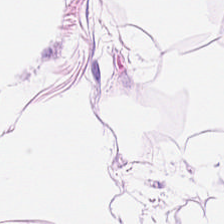H&E. Impression → adipose tissue.
